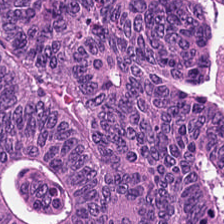Hematoxylin and eosin — Colorectal adenocarcinoma.
